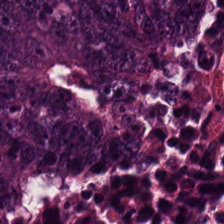{"tissue_type": "colorectal adenocarcinoma"}
